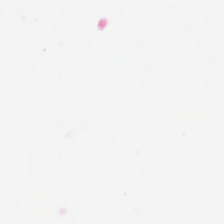H&E stain. Histology → background (no tissue).
